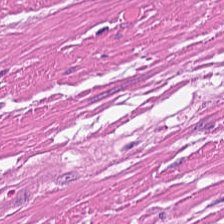H&E-stained tissue section.
Showing smooth-muscle tissue.
